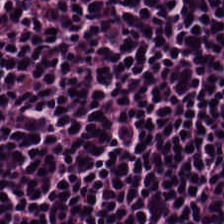Formalin-fixed paraffin-embedded section. H&E-stained tissue section. {"tissue_type": "lymphocyte aggregate"}
